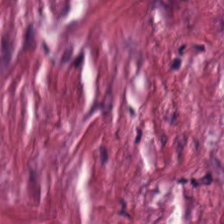Brightfield microscopy; H&E-stained tissue section.
This field is tumor stroma.
